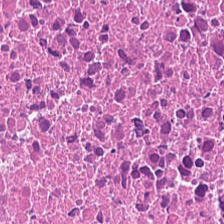Hematoxylin and eosin — Tissue class: necrotic debris.
